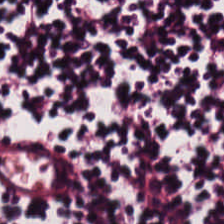Whole-slide-image patch · H&E stain. {"tissue_type": "lymphocyte aggregate"}
